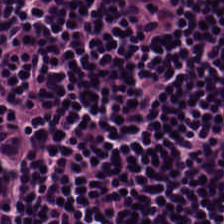224×224 px tile. Hematoxylin and eosin — Classification = lymphocytes.
